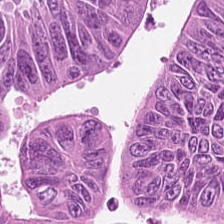0.5 µm per pixel; H&E stain — Histology → tumor epithelium.
